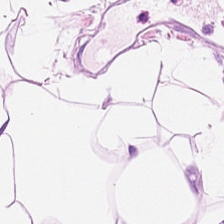The predominant tissue is adipose.
